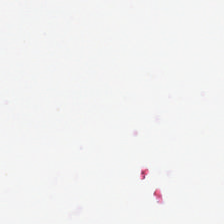Finding — background (no tissue).
